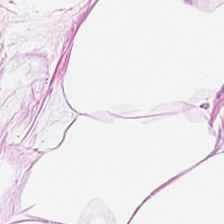Stain: hematoxylin-and-eosin stained section.
Preparation: formalin-fixed paraffin-embedded section.
Predominant tissue: adipose tissue.
